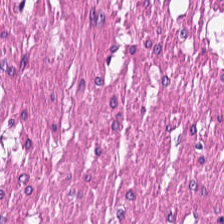H&E.
Predominant tissue = smooth muscle.
